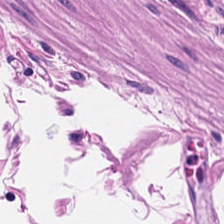Stain: H&E.
Tissue: muscularis.
